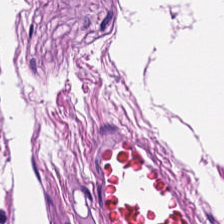FFPE tissue section; H&E-stained tissue section. Impression → smooth-muscle tissue.
